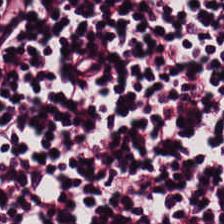0.5 µm per pixel · H&E-stained tissue section. The tissue here is lymphocyte aggregate.
